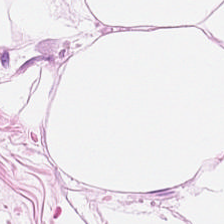224×224 px tile. H&E-stained tissue section — This field is adipose.
